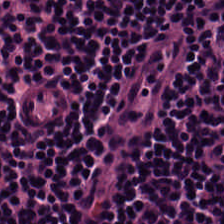Brightfield microscopy · H&E.
The tissue here is lymphocyte aggregate.
